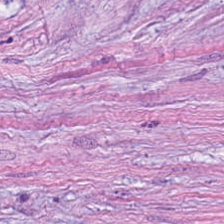H&E-stained tissue section. This patch shows tumor stroma.
